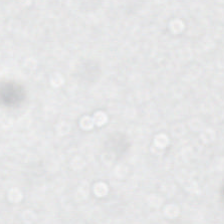The field content is background (no tissue).
